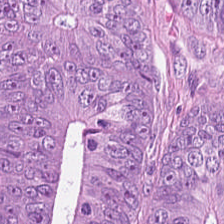0.5 microns per pixel; hematoxylin and eosin; brightfield microscopy — This field is colorectal adenocarcinoma.
